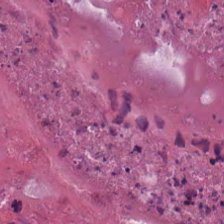Classification: cellular debris.
